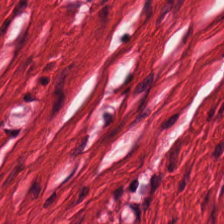20× equivalent magnification. H&E.
{"tissue_type": "smooth-muscle tissue"}
